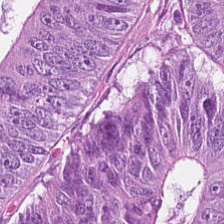H&E. FFPE tissue section.
Showing adenocarcinoma.
